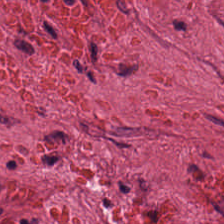Classification — tumor stroma.
